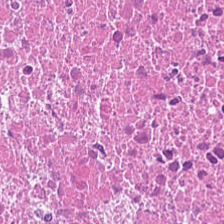0.5 µm per pixel · H&E stain — This patch shows necrotic debris.
